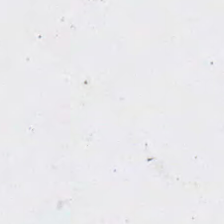{"content": "background (no tissue)"}
